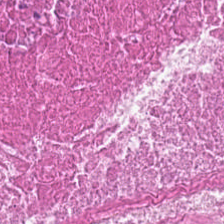The tissue is cellular debris.
